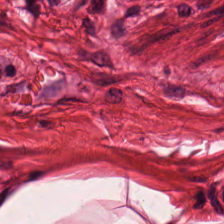Tissue class — smooth-muscle tissue.
